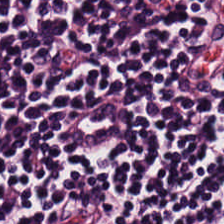Hematoxylin and eosin; WSI patch. The predominant tissue is lymphocytic infiltrate.
